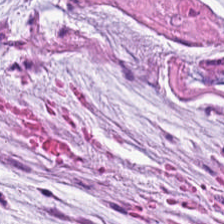H&E-stained tissue section.
This field is mucus.
